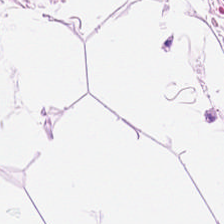Stain: H&E.
Tissue class: adipose tissue.
